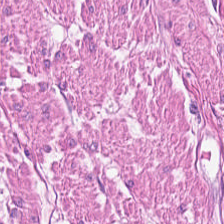H&E-stained tissue section — {"tissue_type": "muscularis"}
